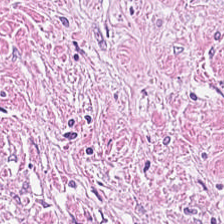Stain: H&E-stained tissue section.
Resolution: 20× equivalent magnification.
Preparation: FFPE.
Tissue: tumor-associated stroma.
